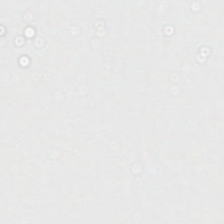H&E-stained tissue section. No tissue present; background only.
